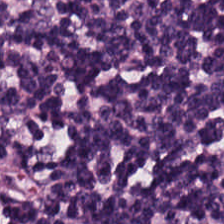H&E stain — This patch shows lymphocyte aggregate.
